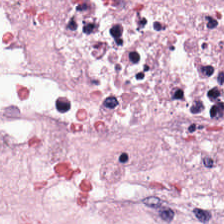H&E. Brightfield microscopy. Q: What tissue type is shown here?
A: This is tumor-associated stroma.
